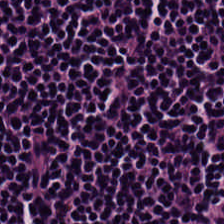Hematoxylin and eosin; formalin-fixed paraffin-embedded section.
Predominant tissue = lymphocytes.
